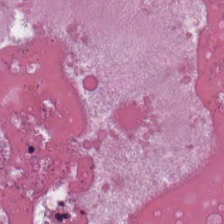Stain: H&E.
Resolution: 0.5 µm per pixel.
Tissue type: debris.
